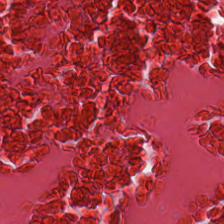H&E stain · brightfield microscopy — Q: Identify the tissue.
A: Necrotic debris.
